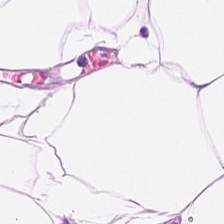Q: What tissue is shown?
A: It is adipose tissue.
